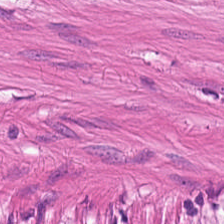H&E-stained tissue section — Tissue class: smooth-muscle tissue.
